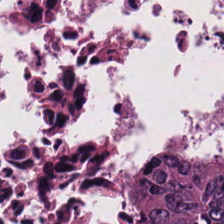H&E — tumor epithelium.
